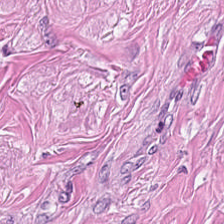H&E stain.
This patch shows tumor-associated stroma.
